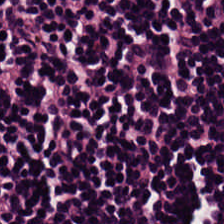H&E stain.
{"tissue_type": "lymphocytic infiltrate"}
